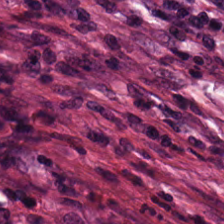Hematoxylin and eosin; 224×224 pixel tile; whole-slide-image patch.
Histology → desmoplastic stroma.
